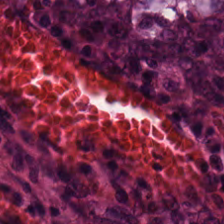H&E; 224×224 pixel tile.
Impression — benign colonic mucosa.
